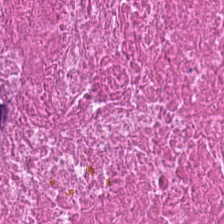Showing cellular debris.
